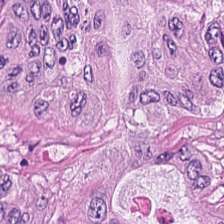Q: What is shown in this field?
A: Adenocarcinoma.
